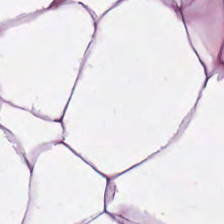0.5 µm/px · H&E — Histology — adipocytes.
